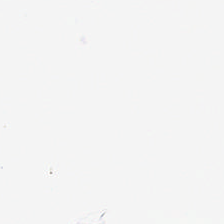Stain: H&E-stained tissue section.
Preparation: FFPE.
Acquisition: WSI patch.
Classification: background (no tissue).
